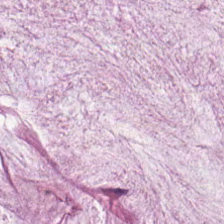H&E stain. WSI patch. FFPE.
This patch shows mucus.
